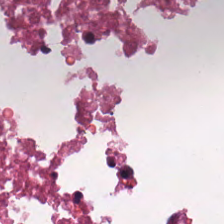Hematoxylin and eosin.
Tissue type = cellular debris.
